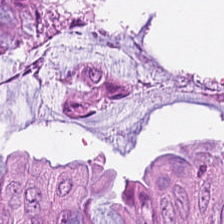H&E-stained tissue section — The classification is adenocarcinoma.
